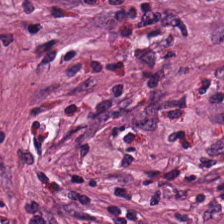H&E — desmoplastic stroma.
